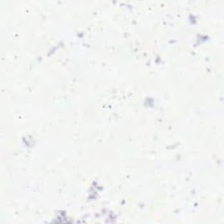Formalin-fixed paraffin-embedded section; whole-slide-image patch; H&E stain.
Background — no tissue in this field.
